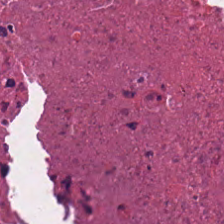Stain: H&E-stained tissue section.
Classification: necrotic debris.
